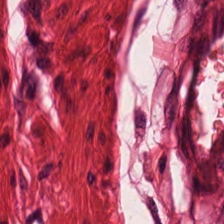Classification: muscularis.
